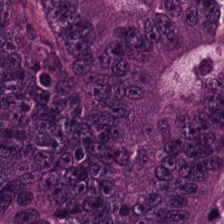H&E-stained tissue section · FFPE tissue section — Q: Identify the tissue.
A: The field shows colorectal adenocarcinoma.
